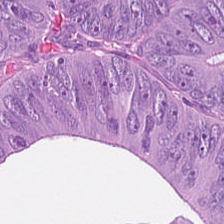Tissue type: tumor epithelium.
